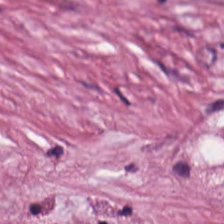Stain: H&E stain.
Preparation: FFPE.
Predominant tissue: tumor-associated stroma.
